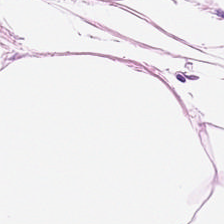H&E patch showing adipocytes.
